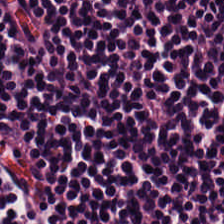Hematoxylin-and-eosin stained section.
Histology — lymphoid infiltrate.
